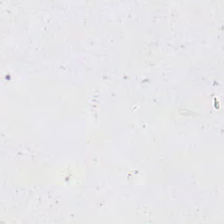H&E. Classification: background.
